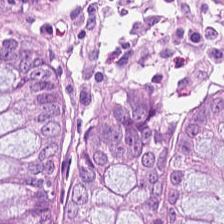Hematoxylin and eosin — Q: What is shown here?
A: It is normal colon mucosa.
